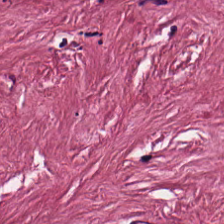0.5 microns per pixel · H&E stain — This field is cancer-associated stroma.
